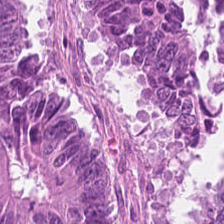FFPE. H&E. 224×224 px tile. Predominantly colorectal adenocarcinoma.
